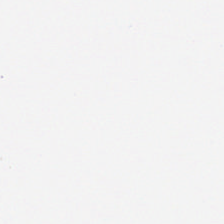FFPE tissue section · H&E-stained tissue section.
Q: What is shown in this field?
A: The field shows background.
